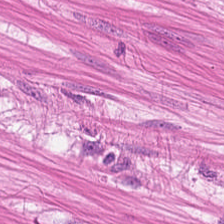Muscularis.
